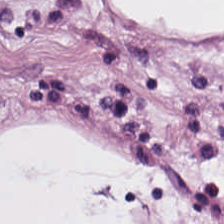Tissue class — adipocytes.
